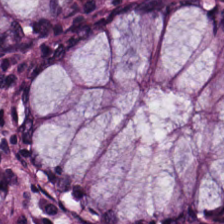H&E. The tissue here is normal colonic mucosa.
